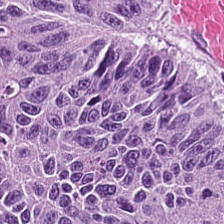0.5 µm/px; hematoxylin-and-eosin stained section. The predominant tissue is colorectal adenocarcinoma.
